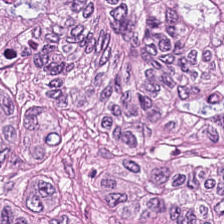Hematoxylin-and-eosin stained section. Finding — tumor epithelium.
